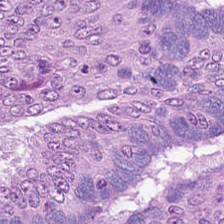0.5 µm/px. Hematoxylin-and-eosin stained section.
This field is tumor epithelium.
